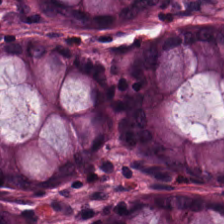FFPE tissue section. 224×224 pixel tile. H&E stain. Predominant tissue = normal colon mucosa.
